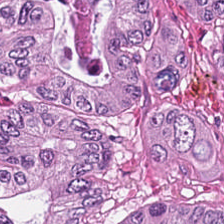224×224 px tile · H&E stain — The predominant tissue is tumor epithelium.
